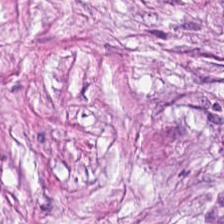Hematoxylin and eosin; 0.5 µm/px.
The tissue type is desmoplastic stroma.
